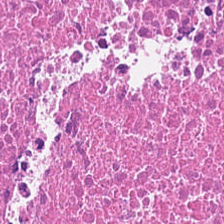Hematoxylin and eosin.
Finding → necrotic debris.
